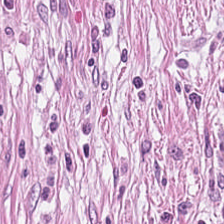H&E stain. Brightfield — {"tissue_type": "desmoplastic stroma"}
